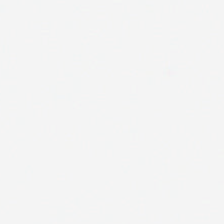H&E stain — Field content: background.
